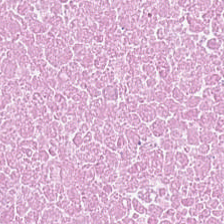0.5 µm/px; H&E.
Showing cellular debris.
